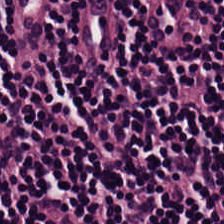H&E.
Q: What is the predominant tissue type?
A: Lymphoid infiltrate.
